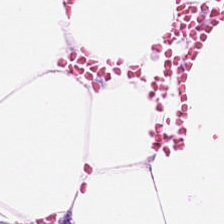Hematoxylin and eosin — This field is adipose tissue.
